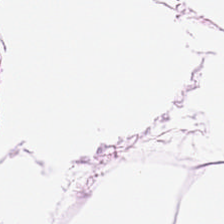0.5 µm per pixel; whole-slide-image patch; hematoxylin-and-eosin stained section. Q: What tissue is shown?
A: The field shows fat tissue.
